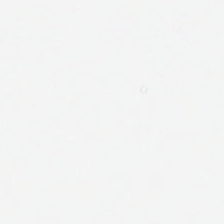Hematoxylin and eosin.
Field content — no tissue.
